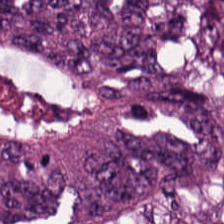{"tissue_type": "colorectal adenocarcinoma"}
